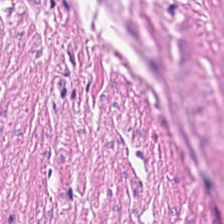H&E stain. Showing smooth-muscle tissue.
